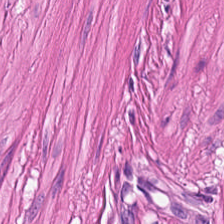H&E-stained tissue section · FFPE tissue section. Q: What tissue type is shown here?
A: This is smooth-muscle tissue.
